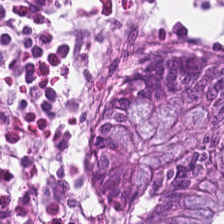H&E — benign colonic mucosa.
